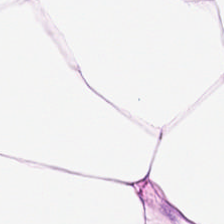Hematoxylin-and-eosin stained section. Histology → adipose.
